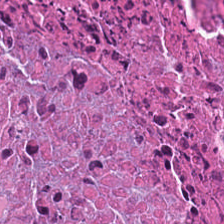Hematoxylin and eosin. The predominant tissue is cellular debris.
